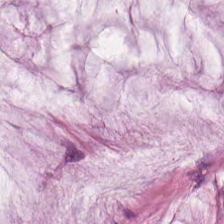H&E-stained tissue section — Tissue = extracellular mucin.
